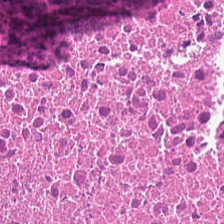0.5 microns per pixel; H&E; FFPE.
The tissue here is necrotic debris.
